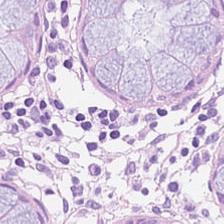Hematoxylin-and-eosin stained section — Showing non-neoplastic colon mucosa.
